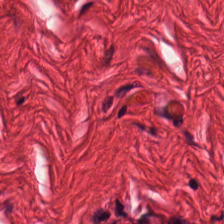H&E stain · 20× equivalent magnification. Predominantly smooth muscle.
